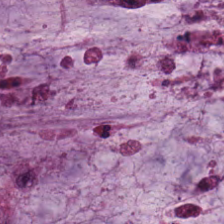0.5 µm/px. Hematoxylin-and-eosin stained section — The tissue class is mucin.
